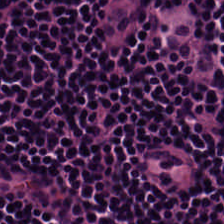Hematoxylin and eosin. Predominantly lymphocyte aggregate.
